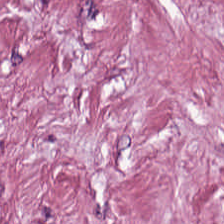Hematoxylin and eosin.
The predominant tissue is tumor stroma.
